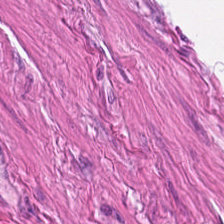Stain: hematoxylin-and-eosin stained section.
Predominant tissue: smooth-muscle tissue.
